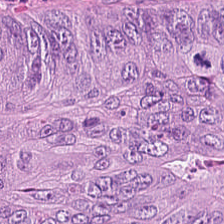Stain: hematoxylin and eosin.
Predominant tissue: malignant epithelium.
